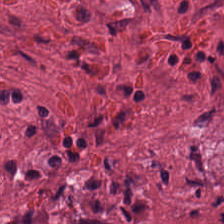Stain: H&E stain.
Acquisition: brightfield microscopy.
Preparation: FFPE tissue section.
Tissue type: cancer-associated stroma.
